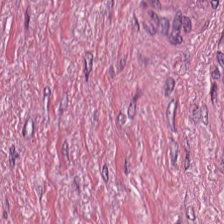Hematoxylin-and-eosin stained section. This field is tumor stroma.
